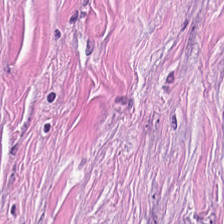Stain: hematoxylin and eosin.
Tile size: 224×224 px patch.
Resolution: 0.5 µm per pixel.
Classification: tumor-associated stroma.
